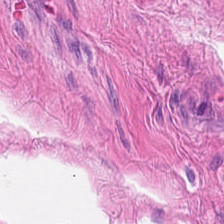Hematoxylin and eosin — This field is smooth-muscle tissue.
